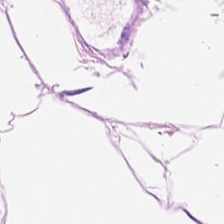20× equivalent magnification · H&E stain. {"tissue_type": "adipose"}
